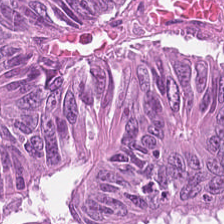H&E stain.
Histology → adenocarcinoma.
